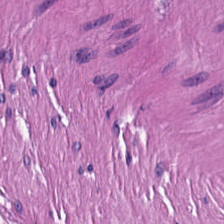224×224 px patch. Hematoxylin-and-eosin stained section.
Q: What is shown in this field?
A: It is smooth muscle.
